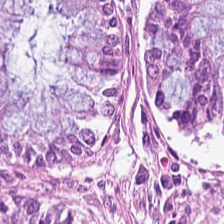Stain: H&E stain.
Tissue type: normal colonic mucosa.
